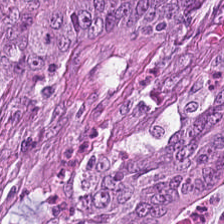Formalin-fixed paraffin-embedded section · hematoxylin-and-eosin stained section — Predominantly adenocarcinoma.
